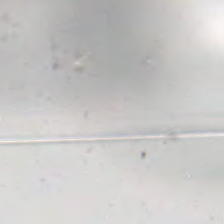Whole-slide-image patch; H&E stain — This field is background (no tissue).
